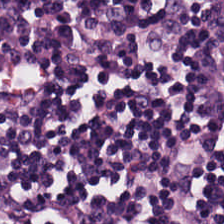Whole-slide-image patch; hematoxylin and eosin.
Q: Identify the tissue.
A: The field shows lymphocytic infiltrate.
